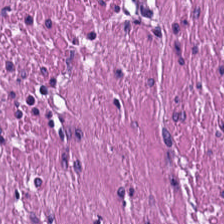Stain: H&E stain.
Tile size: 224×224 pixel tile.
Classification: smooth muscle.
